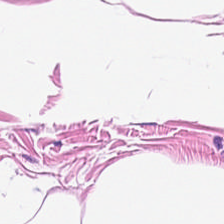Tissue class — adipose.
